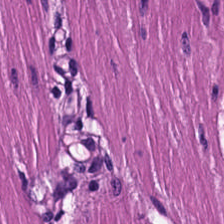H&E. Tissue type = smooth-muscle tissue.
